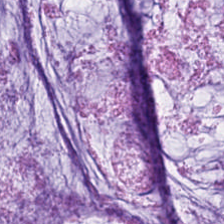H&E-stained tissue section; FFPE. Finding → mucin.
